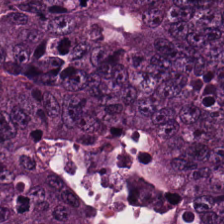H&E-stained tissue section showing adenocarcinoma.
